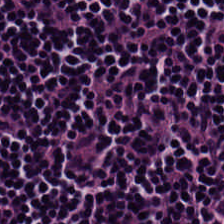Stain: H&E-stained tissue section.
Tissue class: lymphoid infiltrate.
